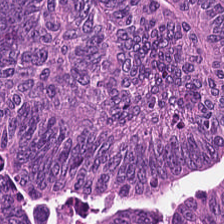H&E-stained tissue section.
Q: Classify this patch.
A: The field shows malignant epithelium.
